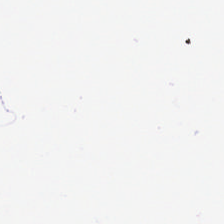Classification — no tissue.
